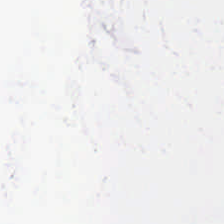0.5 µm per pixel · H&E.
Impression — background (no tissue).
